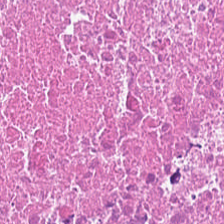Stain: H&E-stained tissue section.
Predominant tissue: necrotic debris.
